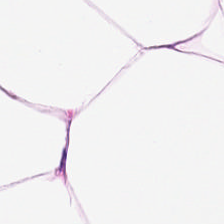H&E-stained tissue section. Showing adipose tissue.
